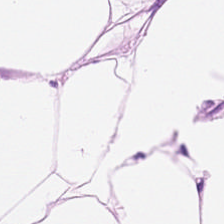H&E — adipocytes.
